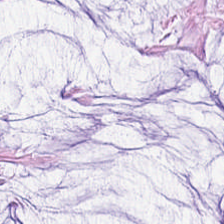0.5 µm per pixel; hematoxylin-and-eosin stained section. {"tissue_type": "extracellular mucin"}
